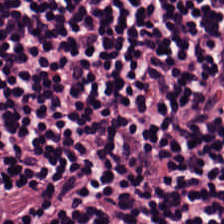0.5 microns per pixel · brightfield · H&E-stained tissue section. Predominantly lymphocytic infiltrate.
